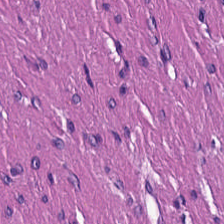Hematoxylin-and-eosin stained section. 224×224 px patch.
Showing muscularis.
